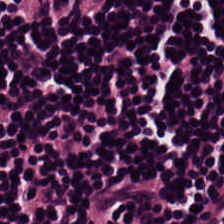Hematoxylin-and-eosin stained section. Predominantly lymphoid infiltrate.
